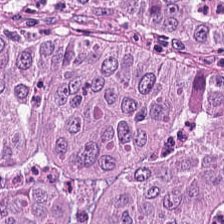Stain: hematoxylin-and-eosin stained section.
Tissue type: adenocarcinoma.
